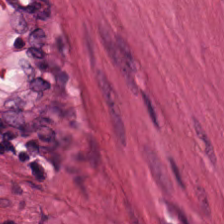WSI patch. H&E — This patch shows smooth muscle.
